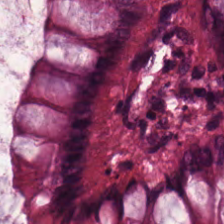Histology → benign colonic mucosa.
